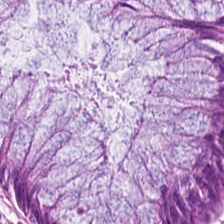H&E — The predominant tissue is normal colon mucosa.
